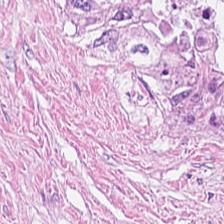0.5 µm per pixel; H&E stain.
Tissue type: cancer-associated stroma.
